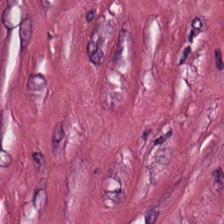Brightfield · H&E-stained tissue section.
The tissue here is tumor stroma.
